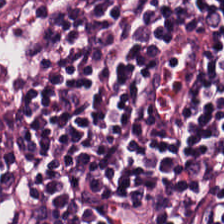H&E.
Showing lymphocytic infiltrate.
